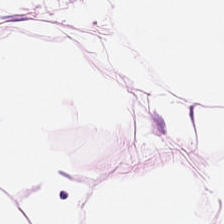Histology — adipose.
